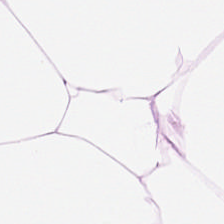H&E stain. The tissue here is adipose.
